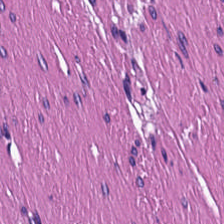224×224 px tile; hematoxylin and eosin. Showing smooth muscle.
